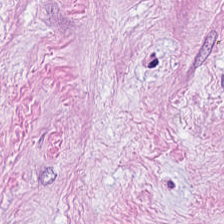Hematoxylin and eosin — This field is desmoplastic stroma.
